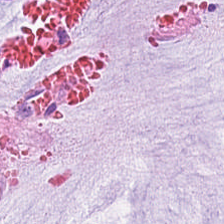This field is mucus.
